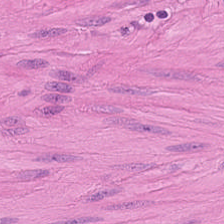H&E. 224×224 px patch.
Tissue: smooth muscle.
